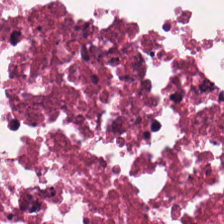H&E. Finding — necrotic debris.
